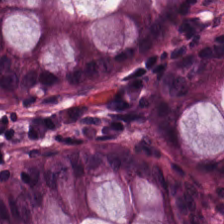Stain: H&E.
Preparation: FFPE tissue section.
Tissue type: benign colonic mucosa.
